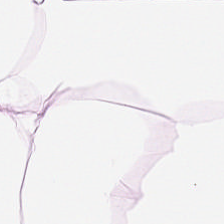FFPE · H&E stain · 224×224 pixel tile — Histology → fat tissue.
